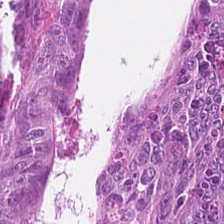Tissue type: colorectal adenocarcinoma epithelium.
